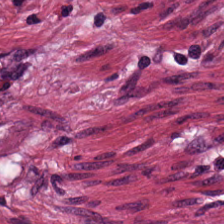Hematoxylin-and-eosin stained section. This field is cancer-associated stroma.
